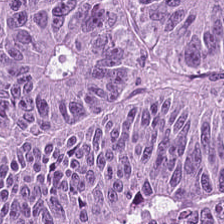H&E. 0.5 microns per pixel. Classification — adenocarcinoma.
